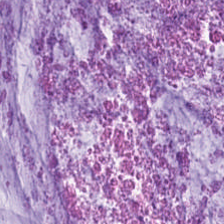H&E.
Q: What tissue is shown?
A: It is mucus.
